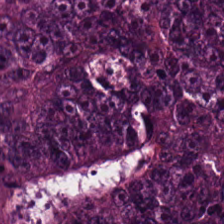{"tissue_type": "tumor epithelium"}
